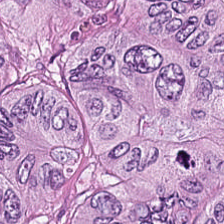Stain: H&E-stained tissue section.
Predominant tissue: colorectal adenocarcinoma.
